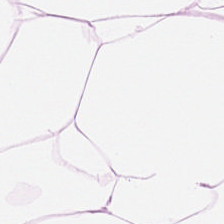H&E. Q: What type of tissue is this?
A: Fat tissue.
